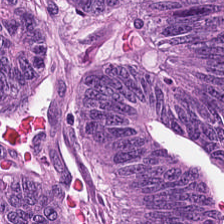Hematoxylin-and-eosin stained section — Malignant epithelium.
